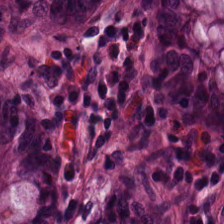H&E-stained tissue section. This field is benign colonic mucosa.
